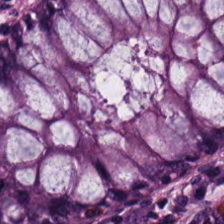Hematoxylin and eosin — The tissue here is non-neoplastic colon mucosa.
